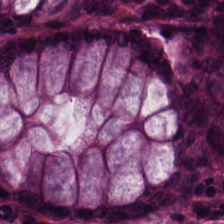Hematoxylin-and-eosin stained section.
Showing normal colon mucosa.
